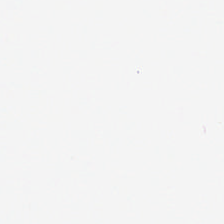Hematoxylin-and-eosin stained section. Impression → background.
